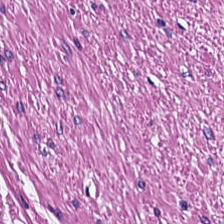H&E stain. Brightfield microscopy — Predominantly smooth muscle.
